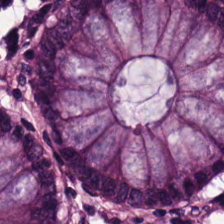Brightfield microscopy. H&E.
Showing benign colonic mucosa.
